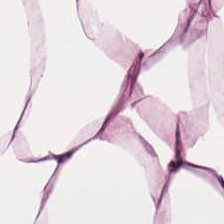H&E stain · formalin-fixed paraffin-embedded section — Q: What is the predominant tissue type?
A: This is adipocytes.
